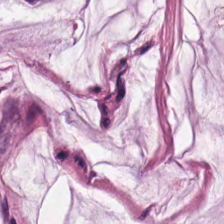Stain: H&E.
Classification: mucin.
